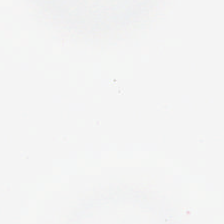Hematoxylin and eosin · 224×224 px patch. Q: What does this patch show?
A: The field shows background.
